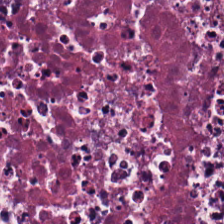Tissue type = cellular debris.
